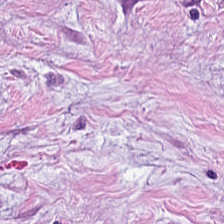H&E-stained tissue section; whole-slide-image patch — Tissue class — cancer-associated stroma.
